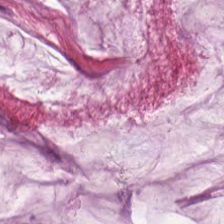The tissue type is extracellular mucin.
